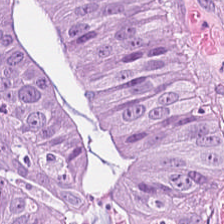This patch shows malignant epithelium.
